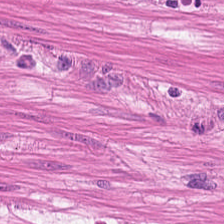Stain: hematoxylin-and-eosin stained section.
Predominant tissue: smooth muscle.
